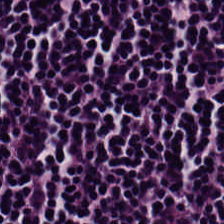Stain: H&E-stained tissue section.
Tissue class: lymphocytic infiltrate.
